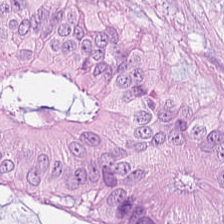H&E — The predominant tissue is adenocarcinoma.
